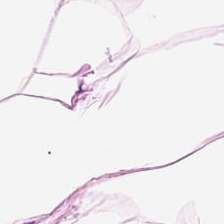H&E-stained tissue section. The predominant tissue is adipose.
